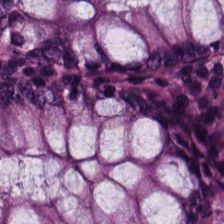H&E-stained tissue section. FFPE. Q: What is shown here?
A: This is normal colon mucosa.
